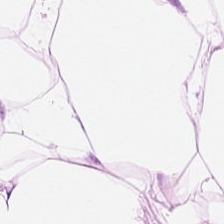H&E.
Showing adipose tissue.
